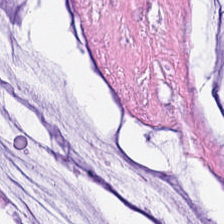224×224 px tile; H&E — This field is mucin.
